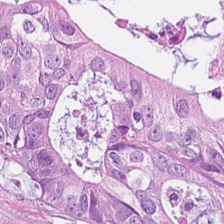Q: What type of tissue is this?
A: The field shows tumor epithelium.
